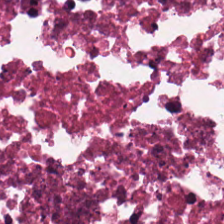Predominant tissue — necrotic debris.
